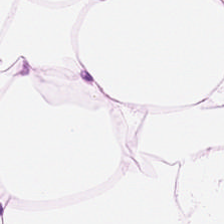224×224 px tile · H&E · whole-slide-image patch.
Finding — adipose.
